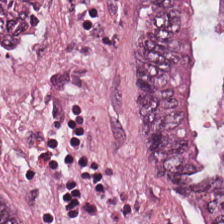H&E stain.
This field is colorectal adenocarcinoma.
